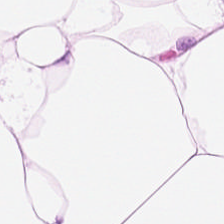224×224 pixel tile · hematoxylin-and-eosin stained section.
Q: What does this patch show?
A: This is adipose.
